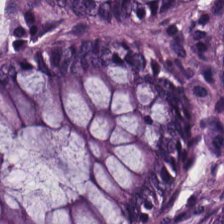H&E.
Non-neoplastic colon mucosa.
